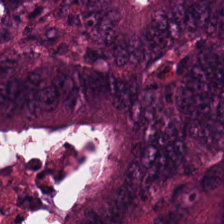Hematoxylin-and-eosin stained section; FFPE tissue section; whole-slide-image patch.
Q: What is shown here?
A: This is adenocarcinoma.
